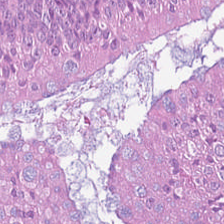H&E-stained tissue section — Predominant tissue: malignant epithelium.
